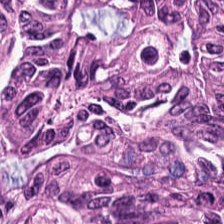H&E stain. FFPE tissue section. Whole-slide-image patch. Tissue class: colorectal adenocarcinoma.
